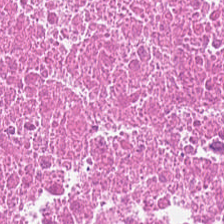H&E — necrotic debris.
